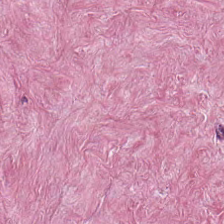FFPE tissue section · hematoxylin-and-eosin stained section. Classification = tumor-associated stroma.
